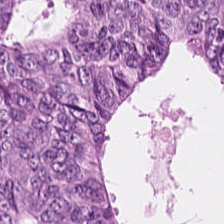H&E. Colorectal adenocarcinoma.
